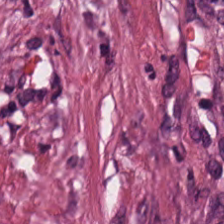This field is cancer-associated stroma.
